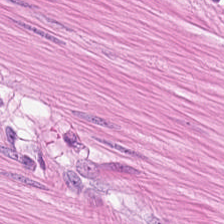Hematoxylin-and-eosin stained section. 224×224 pixel tile — The classification is smooth-muscle tissue.
